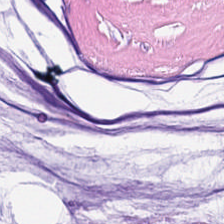H&E.
Extracellular mucin.
